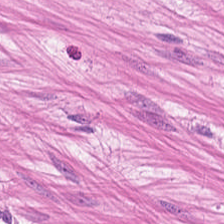This field is smooth-muscle tissue.
